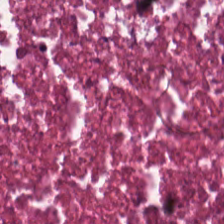H&E — Classification — necrotic debris.
